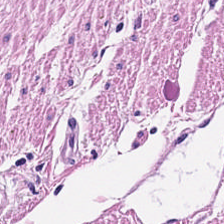H&E — smooth-muscle tissue.
